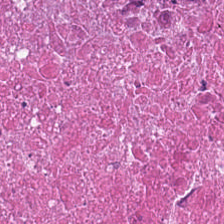H&E stain. This patch shows necrotic debris.
